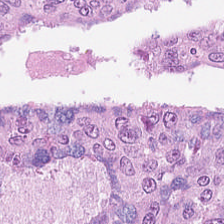H&E-stained tissue section; 224×224 px tile — Predominant tissue: malignant epithelium.
